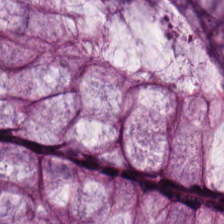Showing non-neoplastic colon mucosa.
